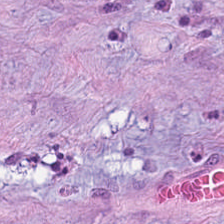Hematoxylin-and-eosin section: tumor-associated stroma.
